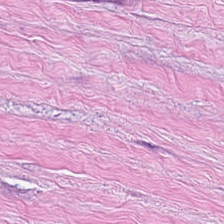H&E-stained tissue section. Predominantly desmoplastic stroma.
